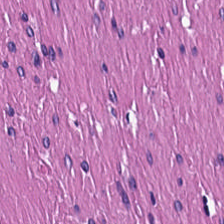H&E — smooth-muscle tissue.
